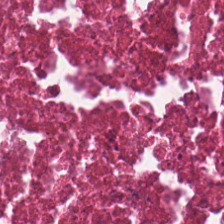H&E-stained section; the field shows necrotic debris.
